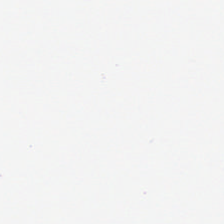H&E stain. Background — no tissue in this field.
